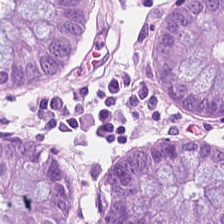H&E stain. 224×224 px patch. 0.5 µm per pixel — This field is benign colonic mucosa.
